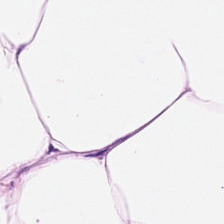Hematoxylin-and-eosin stained section · brightfield microscopy. Showing adipocytes.
